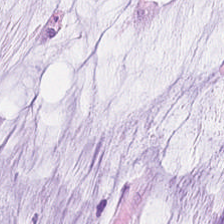H&E-stained tissue section. Tissue — mucin.
